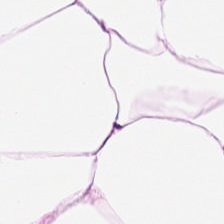0.5 µm/px. H&E stain. Tissue type — fat tissue.
